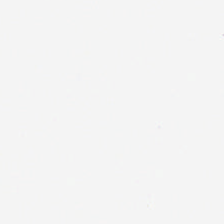Brightfield; H&E-stained tissue section.
Background — no tissue in this field.
